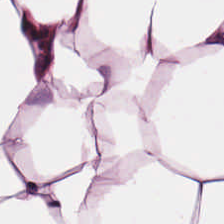H&E-stained tissue section; 0.5 µm per pixel — Predominant tissue = adipose tissue.
